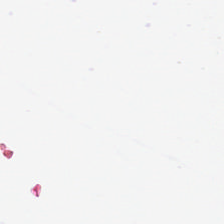Histology — no tissue.
